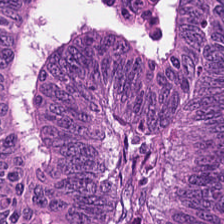H&E. The predominant tissue is colorectal adenocarcinoma.
